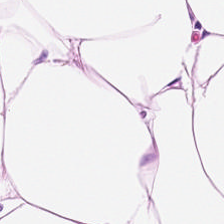Hematoxylin-and-eosin stained section — Q: What is shown in this field?
A: It is adipocytes.
